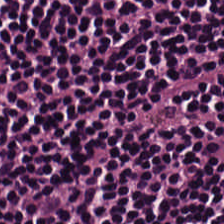H&E stain. {"tissue_type": "lymphocytic infiltrate"}
